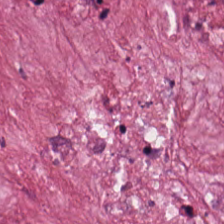This patch shows tumor-associated stroma.
